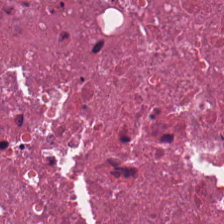Hematoxylin and eosin. 0.5 microns per pixel — Predominant tissue = cellular debris.
